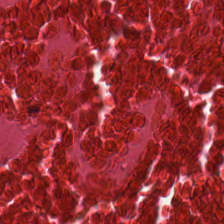Stain: hematoxylin-and-eosin stained section.
Classification: necrotic debris.
